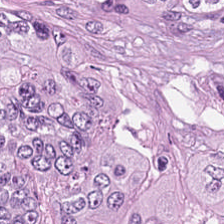H&E.
The tissue is colorectal adenocarcinoma.
